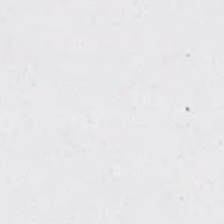H&E — This patch shows background (no tissue).
